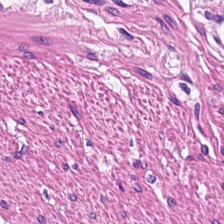Hematoxylin and eosin. FFPE. Brightfield.
Histology → muscularis.
